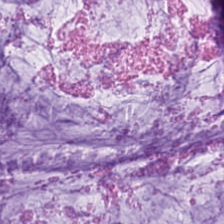H&E. Tissue type = mucin.
